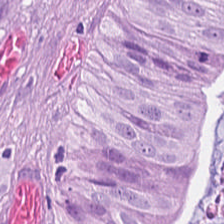Hematoxylin-and-eosin stained section — Predominantly tumor epithelium.
